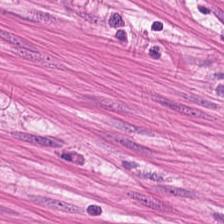Stain: H&E stain.
Acquisition: brightfield microscopy.
Predominant tissue: muscularis.
